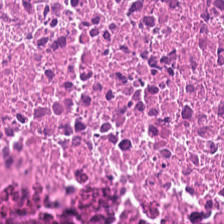Hematoxylin and eosin.
Necrotic debris.
